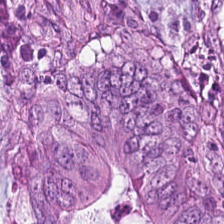224×224 pixel tile. Hematoxylin and eosin. The tissue here is adenocarcinoma.
